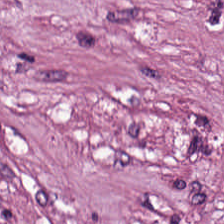H&E stain. This patch shows desmoplastic stroma.
